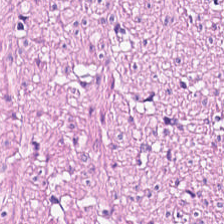Q: What is shown in this field?
A: The field shows smooth-muscle tissue.
